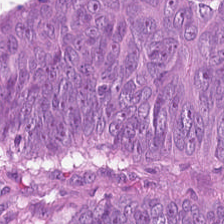H&E-stained tissue section. Colorectal adenocarcinoma.
